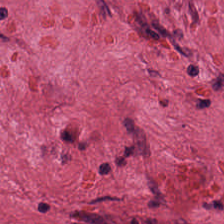Tumor-associated stroma.
